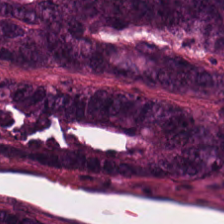Hematoxylin and eosin.
Q: What tissue type is shown here?
A: This is tumor epithelium.
